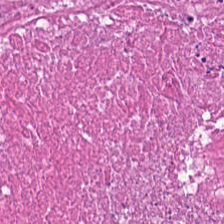224×224 px tile; 0.5 µm/px; hematoxylin and eosin — This field is debris.
